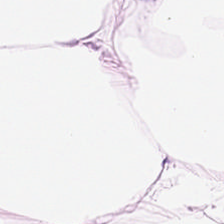H&E stain — This patch shows adipose.
